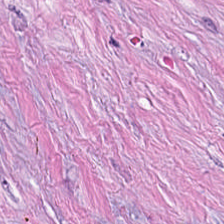Hematoxylin-and-eosin stained section — Histology — desmoplastic stroma.
